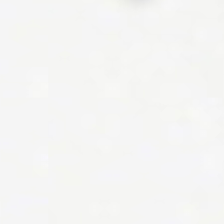224×224 px patch; hematoxylin-and-eosin stained section.
Empty field — empty background.
